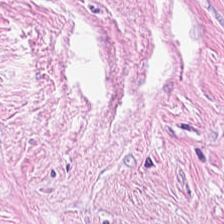Hematoxylin and eosin — This field is desmoplastic stroma.
